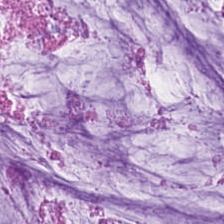Brightfield microscopy; H&E stain; 0.5 µm/px — Q: What is shown in this field?
A: The field shows extracellular mucin.
